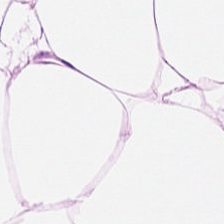20× equivalent magnification; brightfield microscopy; H&E-stained tissue section. Classification — adipose tissue.
